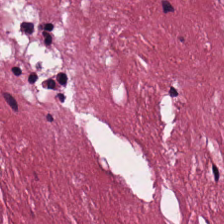Hematoxylin and eosin.
The predominant tissue is tumor-associated stroma.
